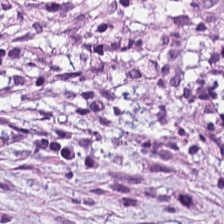224×224 pixel tile. H&E. FFPE. Q: Classify this patch.
A: This is desmoplastic stroma.
